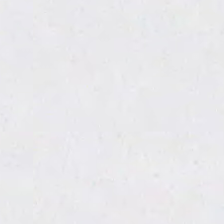Hematoxylin-and-eosin stained section — Background (no tissue).
